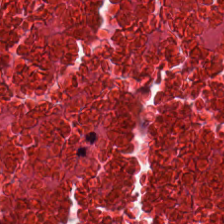Stain: hematoxylin and eosin.
Tissue type: debris.
